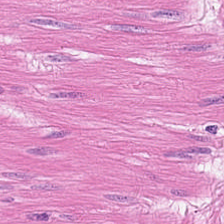H&E-stained tissue section — The tissue type is smooth-muscle tissue.
